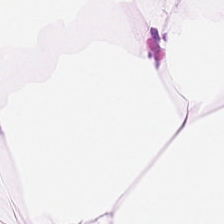Hematoxylin and eosin — Q: Identify the tissue.
A: The field shows adipose.
